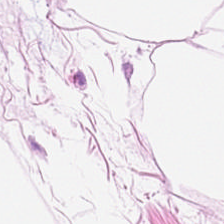WSI patch · hematoxylin and eosin. Showing adipose.
